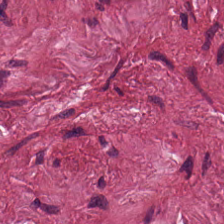H&E-stained tissue section. Q: What is the predominant tissue type?
A: The field shows tumor stroma.
